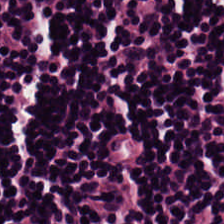H&E — lymphocytic infiltrate.
